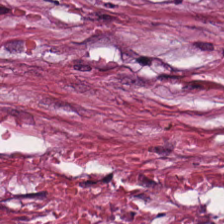Brightfield microscopy. Hematoxylin and eosin.
Predominant tissue: tumor-associated stroma.
